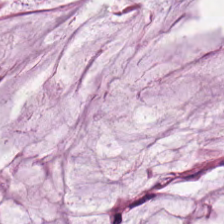H&E stain.
Predominant tissue: mucin.
